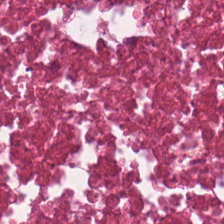H&E stain — The predominant tissue is necrotic debris.
